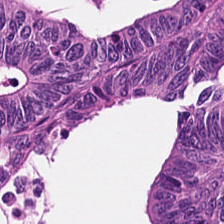FFPE · H&E stain. Tissue — malignant epithelium.
